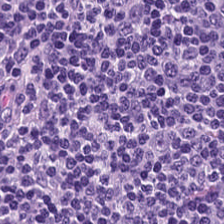H&E. Tissue class: lymphocytic infiltrate.
